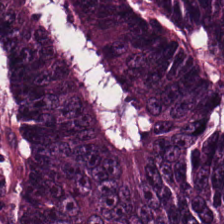The tissue here is malignant epithelium.
